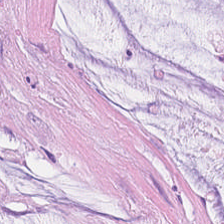H&E patch showing mucus.
